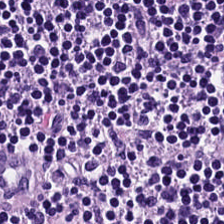H&E — Tissue class = lymphocytes.
